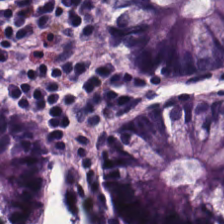Q: Classify this patch.
A: Non-neoplastic colon mucosa.
